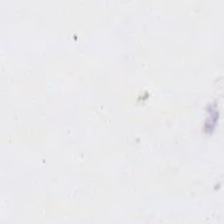Stain: hematoxylin and eosin.
Acquisition: WSI patch.
Tile size: 224×224 px patch.
Classification: background.
